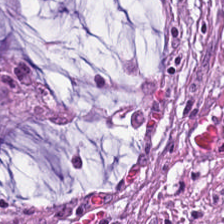224×224 px tile; hematoxylin-and-eosin stained section. The predominant tissue is mucus.
